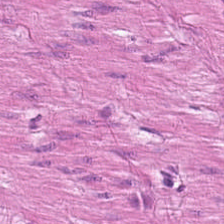Brightfield microscopy; H&E; 0.5 µm per pixel.
Tissue type: smooth-muscle tissue.
